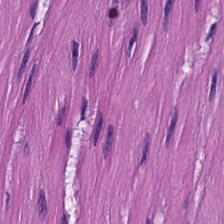Hematoxylin and eosin. 224×224 pixel tile. FFPE tissue section.
Q: What type of tissue is this?
A: Smooth-muscle tissue.
